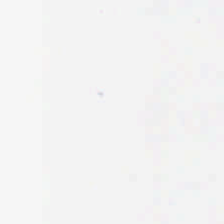Hematoxylin and eosin · brightfield · FFPE tissue section.
Background — no tissue in this field.
